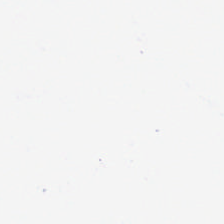Stain: hematoxylin and eosin.
Tile size: 224×224 px tile.
Field content: background (no tissue).
